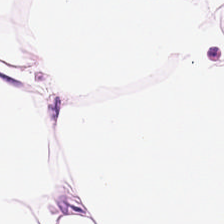Histology — adipose.
